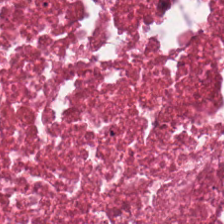H&E-stained tissue section; brightfield microscopy; formalin-fixed paraffin-embedded section — Showing necrotic debris.
